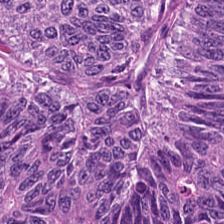H&E-stained tissue section — Tissue type: colorectal adenocarcinoma.
